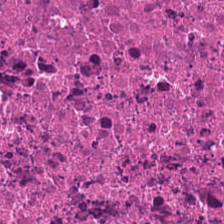H&E.
Q: Classify this patch.
A: The field shows necrotic debris.
